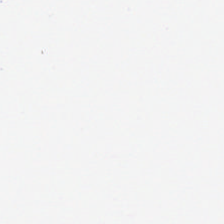H&E — Q: What is shown here?
A: It is background.
